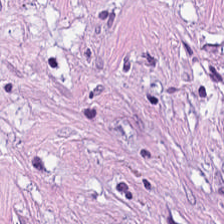Stain: hematoxylin-and-eosin stained section.
Tissue: tumor stroma.
